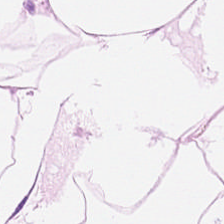H&E.
This patch shows fat tissue.
